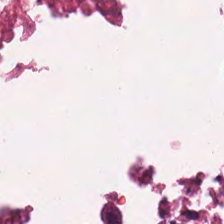FFPE. Hematoxylin and eosin. 0.5 µm/px.
Q: What is shown in this field?
A: The field shows debris.
